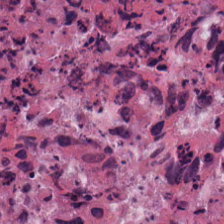Stain: hematoxylin and eosin.
Acquisition: brightfield.
Tissue class: debris.
